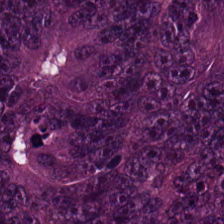Stain: H&E stain.
Predominant tissue: malignant epithelium.
